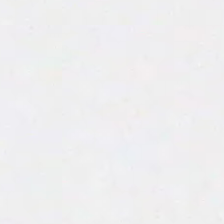Hematoxylin-and-eosin stained section.
Q: What does this patch show?
A: It is empty background.
